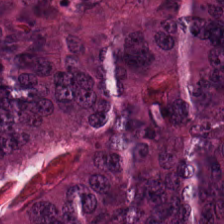0.5 µm/px. H&E stain. Brightfield microscopy.
Finding — adenocarcinoma.
